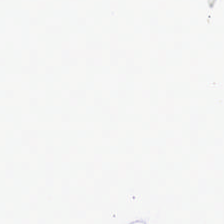Stain: H&E stain.
Classification: no tissue.
